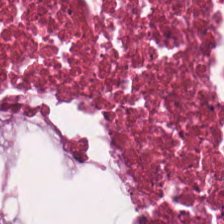This field is debris.
